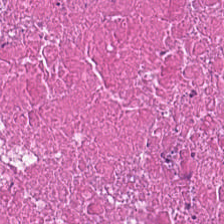Stain: hematoxylin-and-eosin stained section.
Classification: debris.
